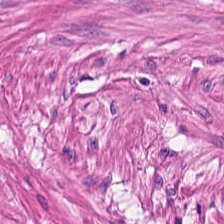Hematoxylin and eosin — This field is muscularis.
